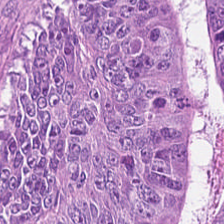0.5 µm/px · 224×224 px tile · H&E-stained tissue section. Showing tumor epithelium.
